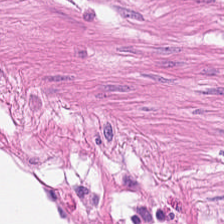Hematoxylin and eosin — Smooth-muscle tissue.
